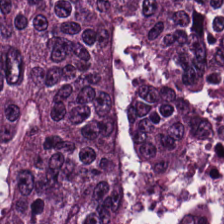H&E-stained tissue section — Impression — colorectal adenocarcinoma epithelium.
